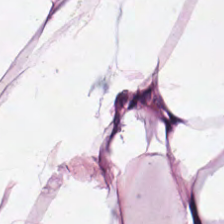{"tissue_type": "fat tissue"}
